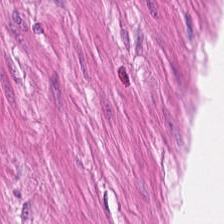Stain: hematoxylin-and-eosin stained section.
Tile size: 224×224 px tile.
Acquisition: whole-slide-image patch.
Classification: smooth-muscle tissue.
